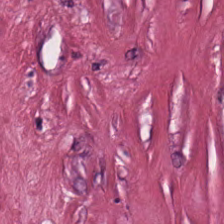224×224 px patch; H&E stain.
The predominant tissue is cancer-associated stroma.
